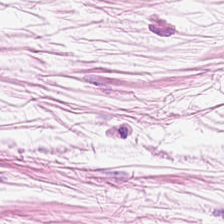Hematoxylin-and-eosin stained section — Predominant tissue = adipose.
